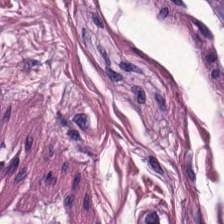224×224 pixel tile · H&E-stained tissue section.
Tissue = smooth muscle.
